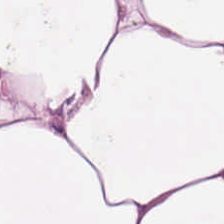H&E stain. Tissue type = adipose tissue.
